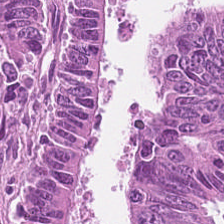H&E. Showing colorectal adenocarcinoma epithelium.
